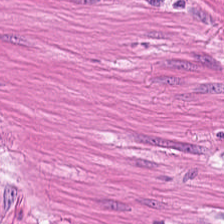H&E-stained section; the field shows smooth-muscle tissue.
